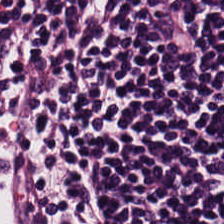Hematoxylin and eosin. 224×224 pixel tile. 20× equivalent magnification.
The classification is lymphocyte aggregate.
